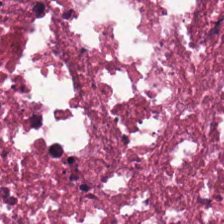Stain: hematoxylin and eosin.
Tissue type: cellular debris.
